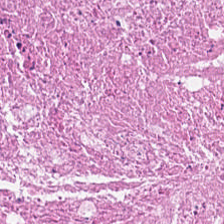The tissue is necrotic debris.
